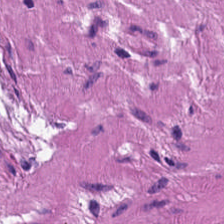H&E-stained tissue section.
The tissue here is smooth muscle.
